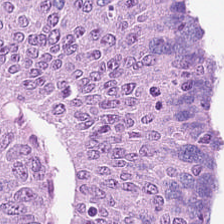H&E stain. Tissue class: colorectal adenocarcinoma epithelium.
